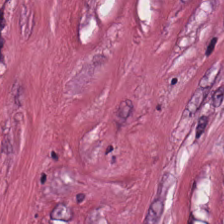20× equivalent magnification · hematoxylin and eosin. The tissue here is desmoplastic stroma.
